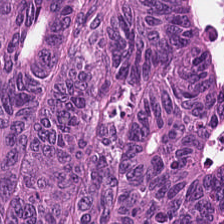H&E-stained tissue section. Brightfield.
This patch shows adenocarcinoma.
